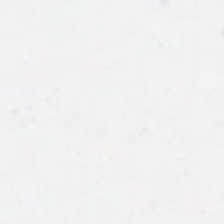H&E stain; formalin-fixed paraffin-embedded section. Finding → background (no tissue).
